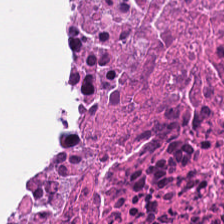H&E — Necrotic debris.
